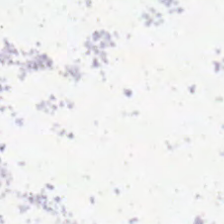0.5 microns per pixel; H&E-stained tissue section; 224×224 pixel tile.
The field content is background (no tissue).
